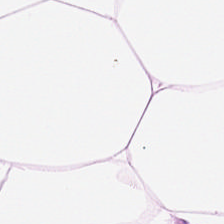224×224 pixel tile · hematoxylin and eosin — The predominant tissue is adipose.
